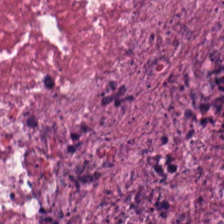Showing necrotic debris.
